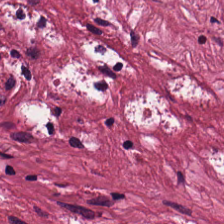Hematoxylin-and-eosin stained section. Histology — desmoplastic stroma.
